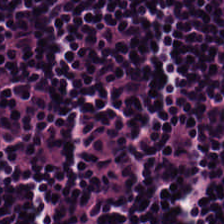H&E. The tissue type is lymphocyte aggregate.
